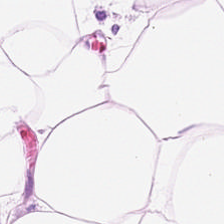H&E; 0.5 µm/px; formalin-fixed paraffin-embedded section. Showing adipose tissue.
